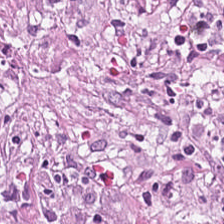Q: What tissue type is shown here?
A: The field shows tumor stroma.
